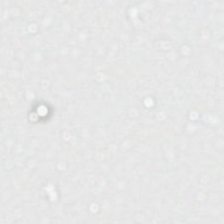Brightfield · hematoxylin and eosin. Histology — background (no tissue).
